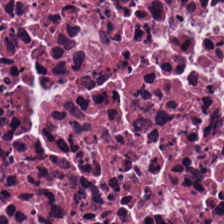H&E.
Impression — cellular debris.
